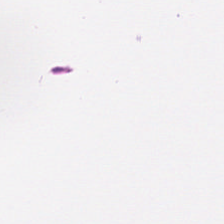Whole-slide-image patch. 224×224 px patch. Hematoxylin and eosin — The predominant tissue is muscularis.
